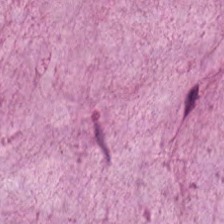Whole-slide-image patch; H&E stain; 224×224 px tile.
This field is extracellular mucin.
